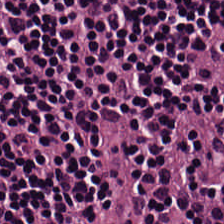Hematoxylin-and-eosin section: lymphocyte aggregate.
